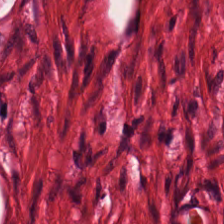H&E · formalin-fixed paraffin-embedded section · brightfield microscopy. Tissue: muscularis.
